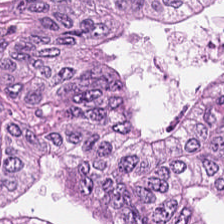Hematoxylin-and-eosin stained section — Predominantly colorectal adenocarcinoma.
